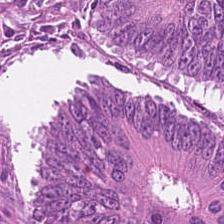Hematoxylin-and-eosin stained section.
The tissue here is adenocarcinoma.
